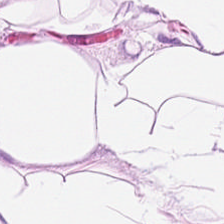Tissue type: fat tissue.
